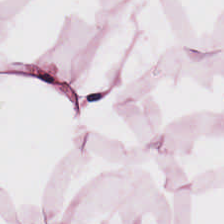H&E stain; whole-slide-image patch; FFPE. This patch shows adipose.
